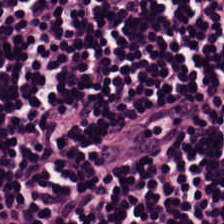H&E-stained tissue section — Showing lymphocytes.
